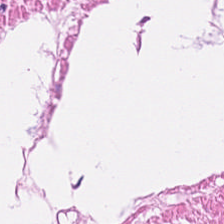This patch shows muscularis.
